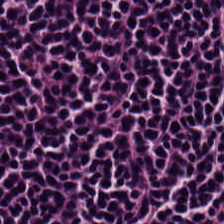H&E.
Classification = lymphocytes.
